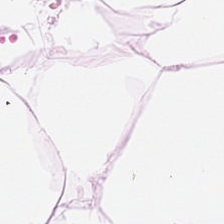0.5 microns per pixel; H&E stain — Tissue class — adipose tissue.
